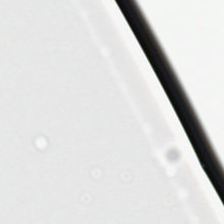Hematoxylin and eosin — Classification — empty background.
